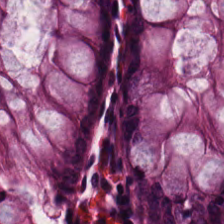{"tissue_type": "normal colon mucosa"}
